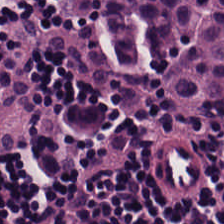Brightfield microscopy; H&E stain — Histology — lymphocytes.
